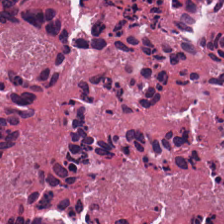Q: What tissue is shown?
A: This is necrotic debris.
